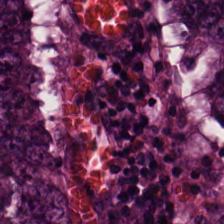H&E-stained section; the field shows malignant epithelium.
